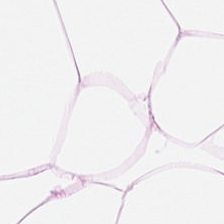H&E-stained tissue section showing adipose.
